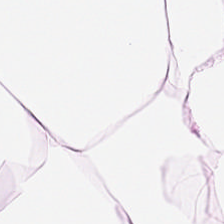Q: What is shown here?
A: It is adipocytes.
